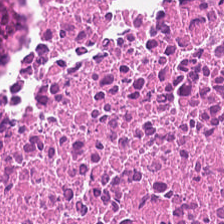20× equivalent magnification · H&E.
Tissue type — cellular debris.
